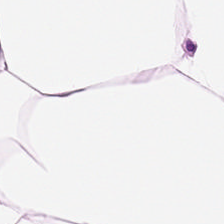Hematoxylin and eosin; 224×224 pixel tile.
Showing adipose.
